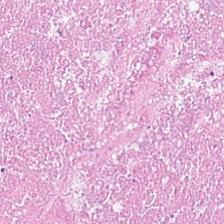H&E-stained tissue section; FFPE tissue section.
This field is necrotic debris.
